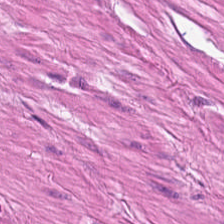Stain: H&E.
Preparation: FFPE.
Acquisition: WSI patch.
Tissue type: smooth-muscle tissue.
